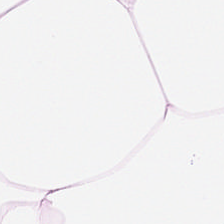WSI patch. 224×224 pixel tile. H&E — Predominantly adipose tissue.
